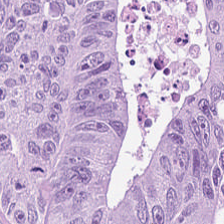0.5 microns per pixel. FFPE tissue section. H&E.
Colorectal adenocarcinoma epithelium.
